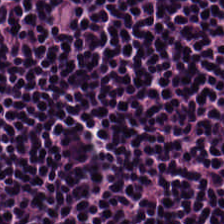H&E stain; formalin-fixed paraffin-embedded section.
The predominant tissue is lymphocytes.
